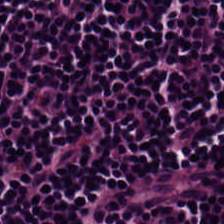H&E stain · brightfield microscopy. The tissue here is lymphocytic infiltrate.
